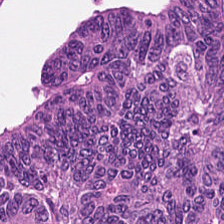Hematoxylin and eosin; 224×224 px patch; 0.5 microns per pixel — Q: What type of tissue is this?
A: This is malignant epithelium.
